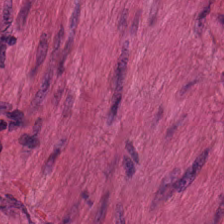FFPE. Brightfield microscopy. Hematoxylin-and-eosin stained section. Showing smooth-muscle tissue.
